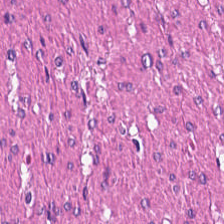Muscularis.
